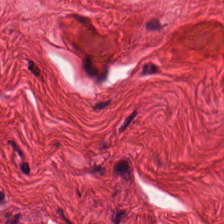Stain: hematoxylin-and-eosin stained section.
Classification: muscularis.
